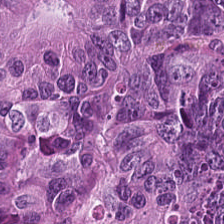H&E-stained tissue section showing adenocarcinoma.
